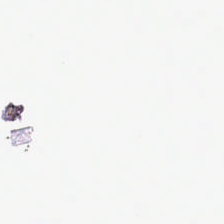Hematoxylin-and-eosin stained section. Q: What does this patch show?
A: The field shows background.
